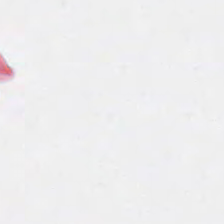Stain: H&E-stained tissue section.
Acquisition: whole-slide-image patch.
Content: background (no tissue).
